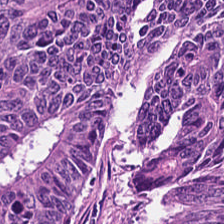224×224 px patch · H&E.
Tissue class = colorectal adenocarcinoma epithelium.
